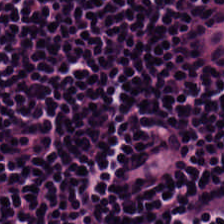Hematoxylin-and-eosin stained section.
Q: What is the predominant tissue type?
A: The field shows lymphocytic infiltrate.
